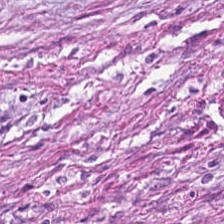Tissue class: tumor stroma.
